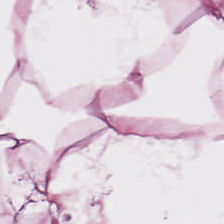Tissue — adipocytes.
